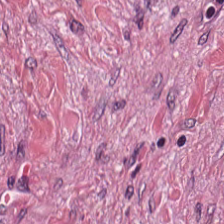H&E stain — The tissue here is desmoplastic stroma.
